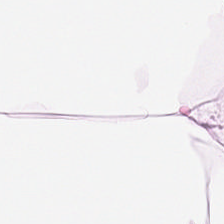Q: What does this patch show?
A: It is adipocytes.
